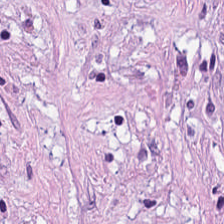H&E — Finding → cancer-associated stroma.
